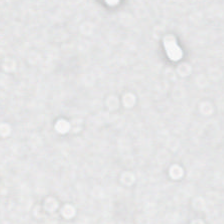0.5 microns per pixel; hematoxylin and eosin. This field is background (no tissue).
